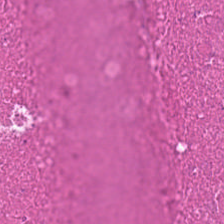Hematoxylin and eosin; formalin-fixed paraffin-embedded section; brightfield — Histology → necrotic debris.
